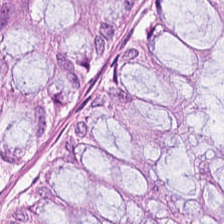Finding → benign colonic mucosa.
